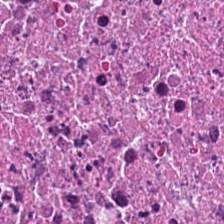H&E stain; whole-slide-image patch; formalin-fixed paraffin-embedded section. Necrotic debris.
